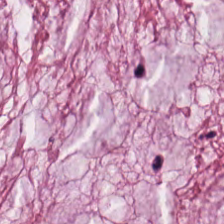Hematoxylin and eosin · 0.5 microns per pixel — Classification = mucin.
